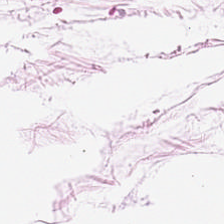H&E — Classification = fat tissue.
